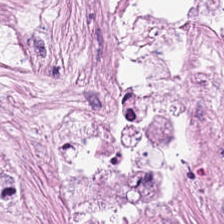Stain: H&E stain.
Resolution: 0.5 µm/px.
Tissue: tumor-associated stroma.
